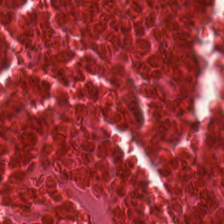WSI patch; H&E; 224×224 px patch — Showing cellular debris.
